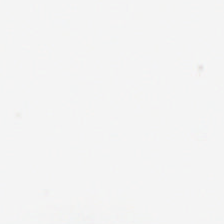H&E stain.
Classification: no tissue.
